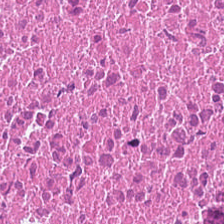Tissue class: necrotic debris.
